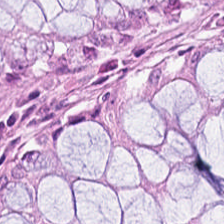H&E. Benign colonic mucosa.
